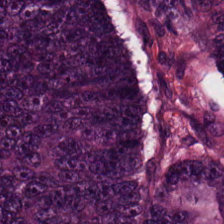Hematoxylin-and-eosin stained section. This field is tumor epithelium.
